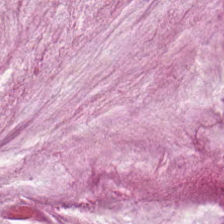The tissue type is extracellular mucin.
